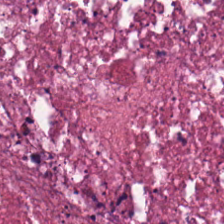Predominant tissue = necrotic debris.
